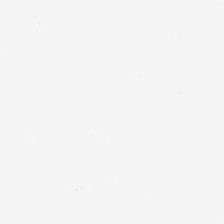H&E — Q: What is shown in this field?
A: Empty background.
